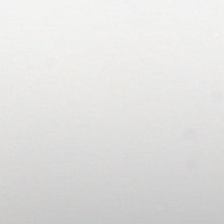H&E-stained tissue section.
Finding — empty background.
